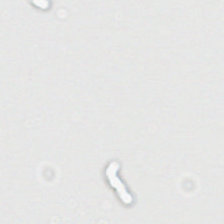Field content = background (no tissue).
